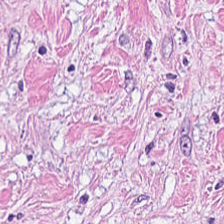Hematoxylin-and-eosin stained section — The predominant tissue is cancer-associated stroma.
